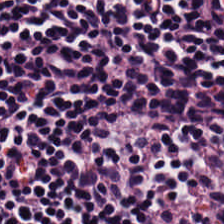H&E · brightfield microscopy. Impression → lymphocyte aggregate.
